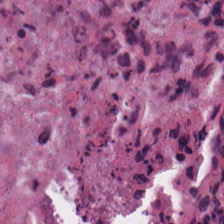FFPE tissue section · hematoxylin-and-eosin stained section. Histology → necrotic debris.
